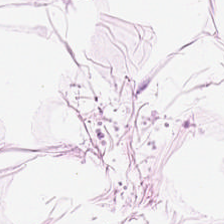Hematoxylin-and-eosin stained section — Tissue — adipocytes.
